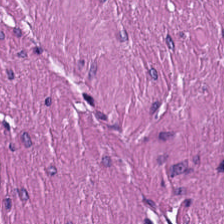Hematoxylin and eosin — This patch shows smooth muscle.
